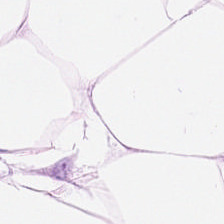Q: What is shown in this field?
A: The field shows adipose tissue.
